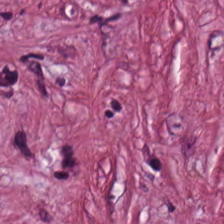Q: What tissue is shown?
A: This is desmoplastic stroma.
